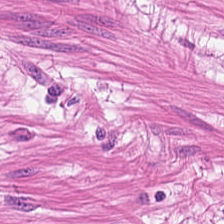H&E.
Tissue class = smooth-muscle tissue.
